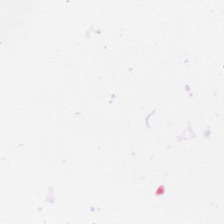224×224 px tile · hematoxylin-and-eosin stained section. Background — no tissue in this field.
